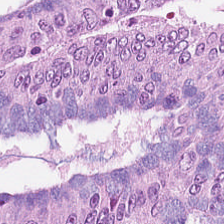Hematoxylin-and-eosin stained section. 224×224 px tile. Whole-slide-image patch.
Histology — adenocarcinoma.
